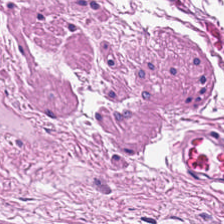Whole-slide-image patch · 20× equivalent magnification · H&E stain. Impression → smooth muscle.
